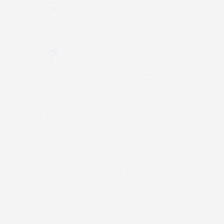0.5 µm per pixel; hematoxylin-and-eosin stained section. Q: What is shown here?
A: Background.
